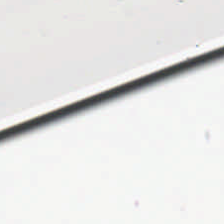H&E — Histology → background (no tissue).
